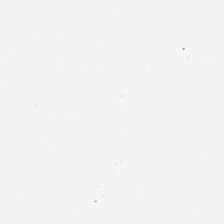0.5 µm per pixel; hematoxylin-and-eosin stained section.
Empty field — background.
